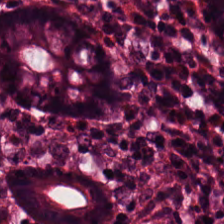H&E-stained tissue section. Impression → normal colonic mucosa.
